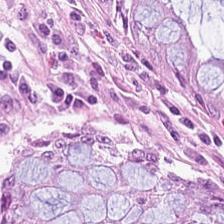The tissue here is benign colonic mucosa.
